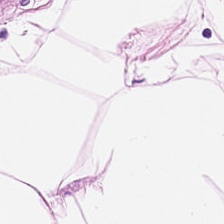H&E.
Predominantly fat tissue.
